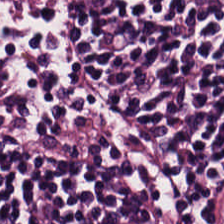0.5 µm/px · H&E. The predominant tissue is lymphoid infiltrate.
